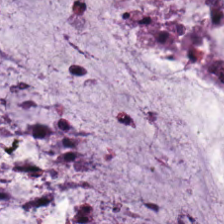Hematoxylin and eosin. Tissue: mucin.
